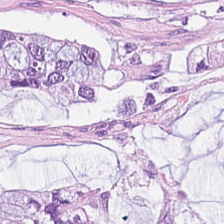Tissue class: mucin.
